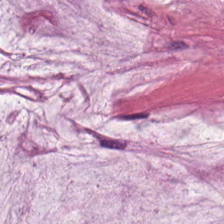WSI patch · hematoxylin-and-eosin stained section · FFPE.
Classification — mucin.
